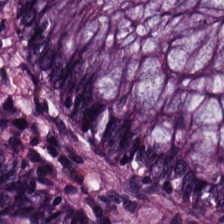224×224 px tile; H&E.
Impression → non-neoplastic colon mucosa.
